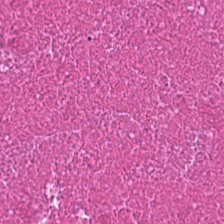224×224 pixel tile; H&E stain — Showing necrotic debris.
